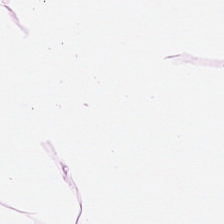WSI patch; hematoxylin and eosin — Predominantly adipocytes.
